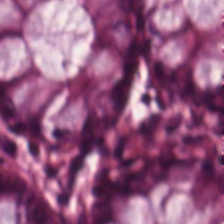Stain: H&E.
Tissue: non-neoplastic colon mucosa.
